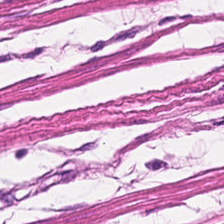H&E. Showing smooth muscle.
